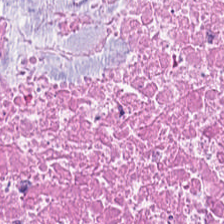H&E-stained tissue section · 224×224 pixel tile · 20× equivalent magnification.
This patch shows debris.
